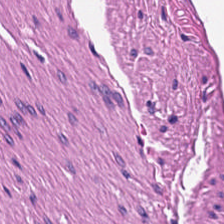Hematoxylin-and-eosin stained section. The classification is muscularis.
